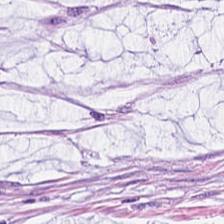Stain: H&E.
Acquisition: WSI patch.
Tissue type: mucin.
